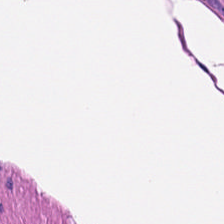Histology → smooth-muscle tissue.
